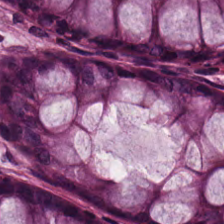H&E stain · formalin-fixed paraffin-embedded section. This patch shows normal colonic mucosa.
